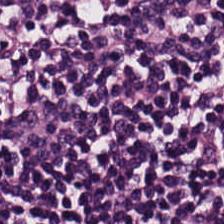Stain: H&E-stained tissue section.
Tissue type: lymphocytic infiltrate.
